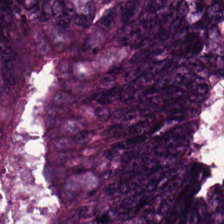Hematoxylin and eosin.
Q: What tissue type is shown here?
A: The field shows tumor epithelium.
